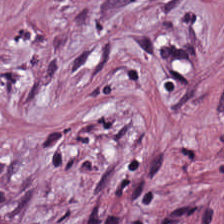Hematoxylin-and-eosin stained section — The tissue here is tumor stroma.
